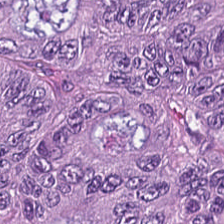H&E stain. WSI patch.
Classification = colorectal adenocarcinoma.
